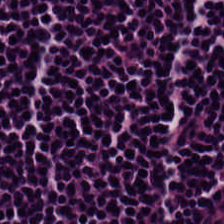Hematoxylin-and-eosin stained section — The tissue is lymphocyte aggregate.
